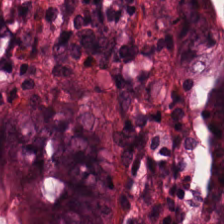224×224 pixel tile; H&E.
Tissue class: non-neoplastic colon mucosa.
